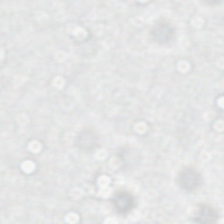0.5 µm/px · FFPE tissue section · H&E-stained tissue section — Finding → background (no tissue).
